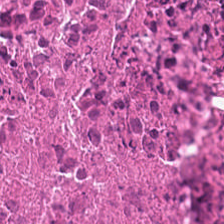224×224 px tile; hematoxylin and eosin. Predominantly debris.
